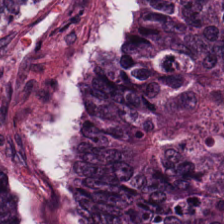Hematoxylin and eosin.
The tissue is colorectal adenocarcinoma.
